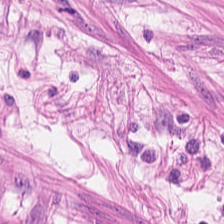H&E-stained tissue section. Q: What type of tissue is this?
A: Smooth muscle.
